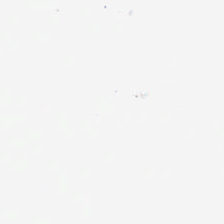FFPE tissue section · H&E-stained tissue section.
The classification is no tissue.
